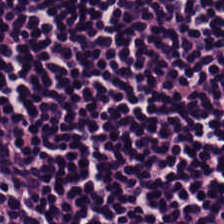Hematoxylin-and-eosin stained section — Predominantly lymphoid infiltrate.
